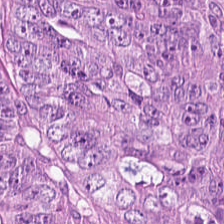Q: What is shown in this field?
A: Tumor epithelium.
